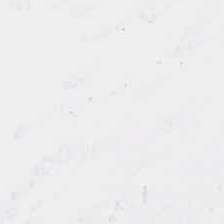Hematoxylin and eosin.
The field content is background (no tissue).
